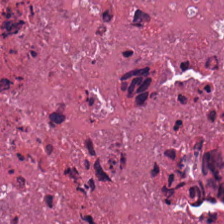Whole-slide-image patch; hematoxylin and eosin.
Cellular debris.
